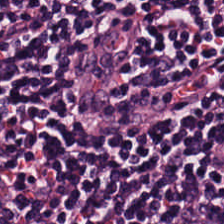Stain: H&E-stained tissue section.
Classification: lymphoid infiltrate.
